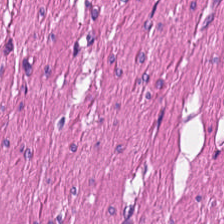0.5 µm/px · H&E stain — Smooth-muscle tissue.
